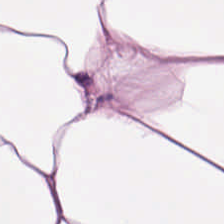H&E patch showing adipose tissue.
